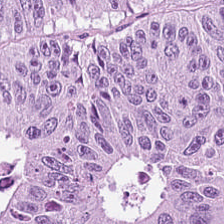H&E · 0.5 µm per pixel · brightfield — The tissue here is malignant epithelium.
